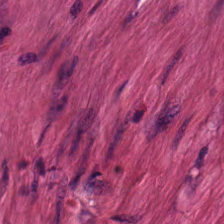H&E.
Showing smooth muscle.
